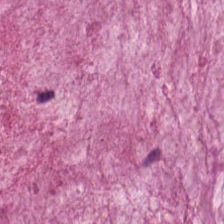H&E-stained tissue section. Tissue class = mucin.
